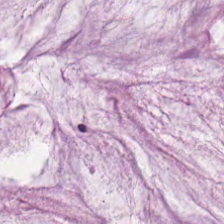H&E stain — This field is extracellular mucin.
